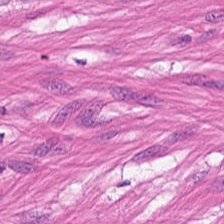Hematoxylin-and-eosin stained section · FFPE tissue section — Predominant tissue: smooth-muscle tissue.
